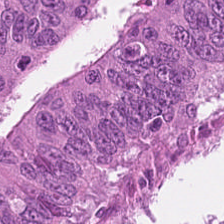H&E stain — Predominantly malignant epithelium.
